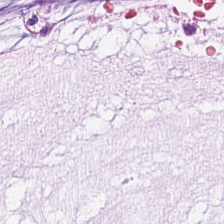Hematoxylin and eosin. Q: What is the predominant tissue type?
A: This is mucus.
